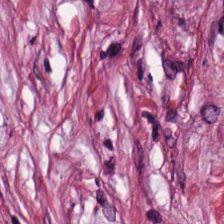Hematoxylin and eosin.
Tissue: desmoplastic stroma.
